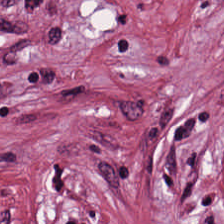FFPE tissue section · hematoxylin and eosin · 0.5 microns per pixel. This patch shows desmoplastic stroma.
